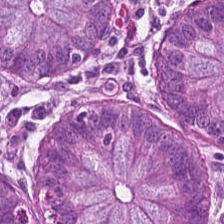H&E-stained tissue section — This patch shows non-neoplastic colon mucosa.
